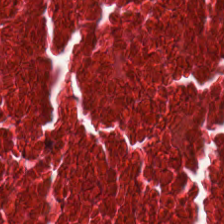H&E.
Predominant tissue — cellular debris.
